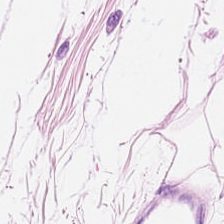Hematoxylin and eosin; FFPE — This field is adipocytes.
